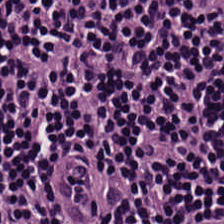H&E-stained tissue section — Predominant tissue: lymphocytes.
